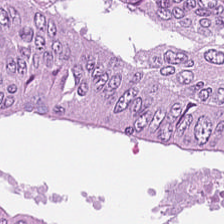Hematoxylin-and-eosin stained section; 224×224 pixel tile — Classification = adenocarcinoma.
